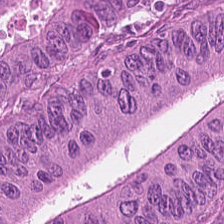H&E · whole-slide-image patch. Classification — malignant epithelium.
